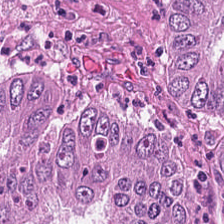Predominant tissue — colorectal adenocarcinoma epithelium.
